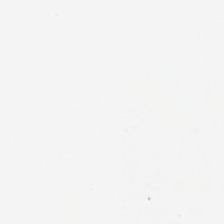Brightfield microscopy; H&E; 0.5 microns per pixel.
Classification = background (no tissue).
